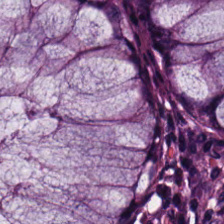H&E — Predominant tissue — normal colon mucosa.
